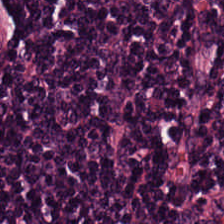Stain: H&E-stained tissue section.
Tissue class: lymphocytic infiltrate.
